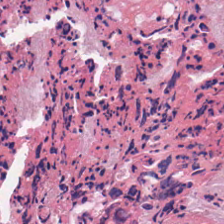224×224 pixel tile · hematoxylin-and-eosin stained section. Q: What type of tissue is this?
A: Cellular debris.
